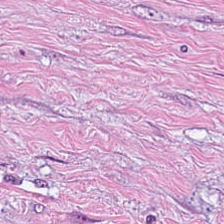H&E-stained tissue section. 224×224 pixel tile — Q: Identify the tissue.
A: This is tumor-associated stroma.
